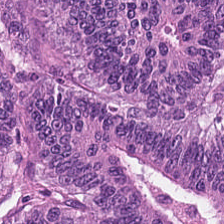Q: What tissue type is shown here?
A: This is adenocarcinoma.
